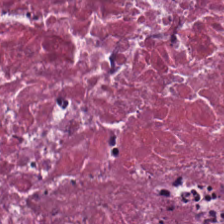0.5 microns per pixel. H&E-stained tissue section. Q: What is shown here?
A: This is debris.
